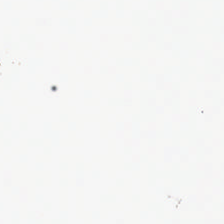Hematoxylin and eosin — Classification = background (no tissue).
